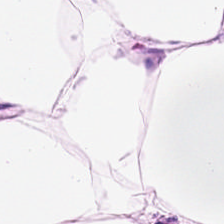Tissue type = fat tissue.
